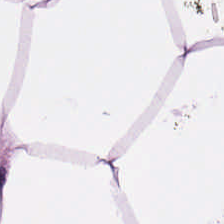H&E · formalin-fixed paraffin-embedded section. Showing adipose.
